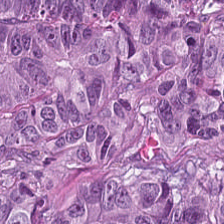H&E-stained tissue section; 0.5 µm/px; WSI patch.
Histology — tumor epithelium.
